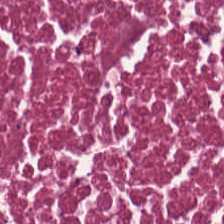FFPE · H&E.
This patch shows debris.
